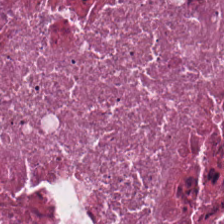H&E. Q: What is the predominant tissue type?
A: The field shows debris.
